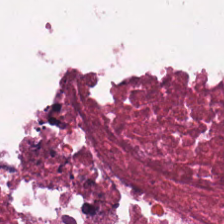Tissue class = necrotic debris.
